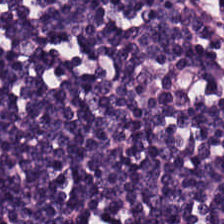Stain: hematoxylin and eosin.
Predominant tissue: lymphoid infiltrate.
